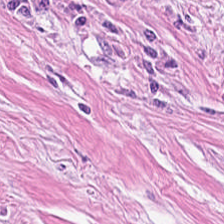Tumor stroma.
